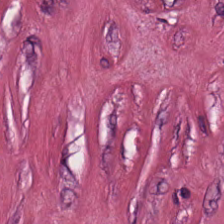H&E — Finding — desmoplastic stroma.
